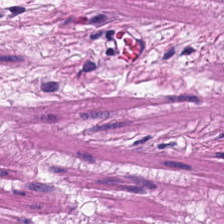H&E patch showing muscularis.
